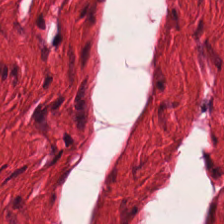Tissue class = muscularis.
